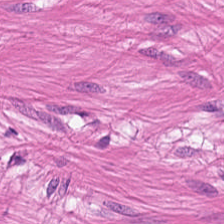Predominant tissue = smooth muscle.
